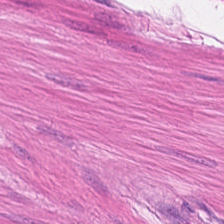Q: Classify this patch.
A: The field shows muscularis.
